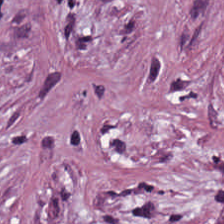224×224 px tile · hematoxylin and eosin. The predominant tissue is tumor-associated stroma.
